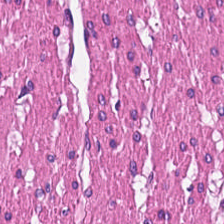Stain: H&E.
Tissue class: smooth-muscle tissue.
